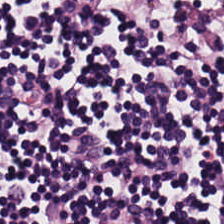0.5 µm per pixel; 224×224 pixel tile; hematoxylin and eosin — Q: What is shown here?
A: This is lymphocytes.
